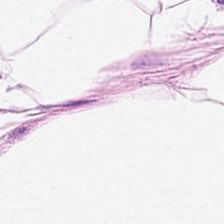Hematoxylin-and-eosin section: fat tissue.
